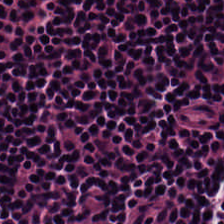224×224 pixel tile; hematoxylin and eosin. Classification = lymphocytic infiltrate.
